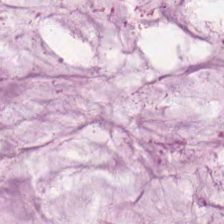Hematoxylin-and-eosin stained section · 20× equivalent magnification. The predominant tissue is mucus.
